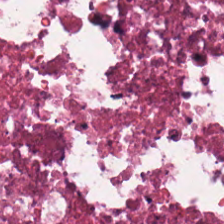Hematoxylin and eosin. {"tissue_type": "cellular debris"}
